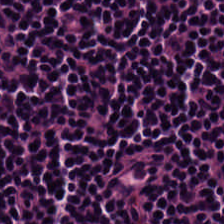H&E stain — This patch shows lymphoid infiltrate.
